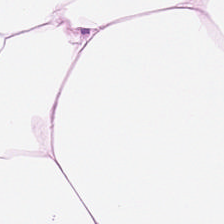Hematoxylin-and-eosin stained section. Whole-slide-image patch.
This field is fat tissue.
